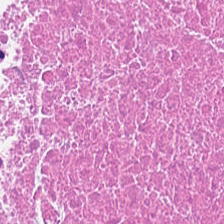Hematoxylin-and-eosin stained section.
Q: What does this patch show?
A: Debris.
